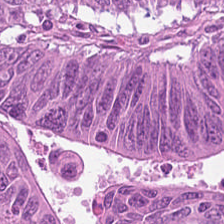0.5 µm/px · H&E stain.
Q: What tissue type is shown here?
A: It is colorectal adenocarcinoma epithelium.
